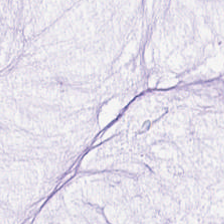Hematoxylin-and-eosin stained section.
Classification = mucus.
